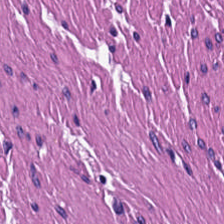H&E stain.
The classification is smooth-muscle tissue.
